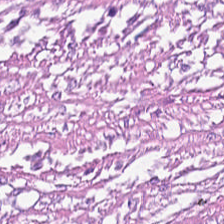Formalin-fixed paraffin-embedded section · H&E stain — The tissue is tumor stroma.
